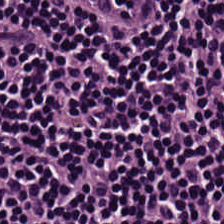Whole-slide-image patch; H&E stain; formalin-fixed paraffin-embedded section.
Lymphoid infiltrate.
